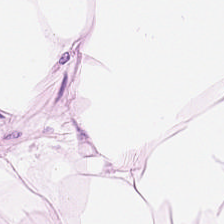H&E; 20× equivalent magnification — The tissue here is adipocytes.
